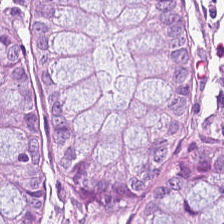Hematoxylin-and-eosin stained section.
Q: What does this patch show?
A: This is benign colonic mucosa.
